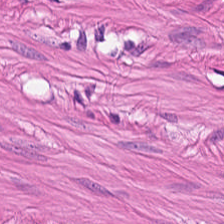Hematoxylin and eosin. {"tissue_type": "smooth muscle"}
